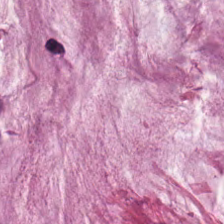0.5 µm/px. Hematoxylin and eosin. 224×224 px patch — Q: What is the predominant tissue type?
A: Extracellular mucin.
